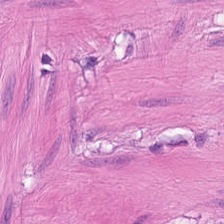H&E-stained tissue section.
Tissue: smooth muscle.
